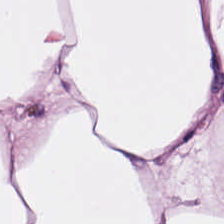This field is adipocytes.
